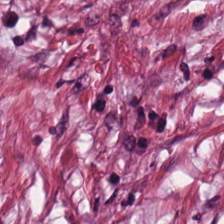FFPE; hematoxylin-and-eosin stained section; WSI patch.
This field is desmoplastic stroma.
